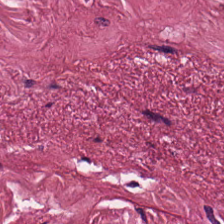H&E · 20× equivalent magnification — This patch shows tumor stroma.
